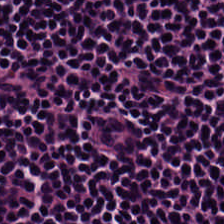224×224 px patch. 0.5 µm per pixel. H&E stain — Tissue class — lymphoid infiltrate.
